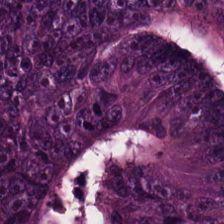H&E · formalin-fixed paraffin-embedded section.
The tissue class is adenocarcinoma.
